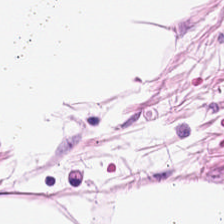Stain: hematoxylin-and-eosin stained section.
Tissue type: fat tissue.
